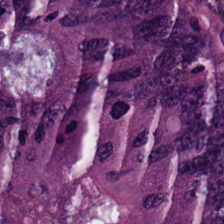Brightfield microscopy. Hematoxylin-and-eosin stained section. 0.5 µm per pixel. Predominant tissue = adenocarcinoma.
